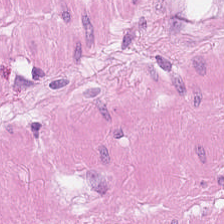Whole-slide-image patch; 20× equivalent magnification; hematoxylin-and-eosin stained section.
The predominant tissue is muscularis.
